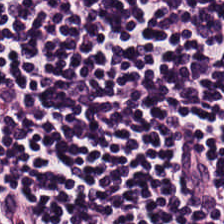Whole-slide-image patch · H&E.
Predominantly lymphoid infiltrate.
